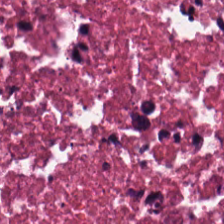Stain: H&E stain.
Preparation: FFPE.
Tissue class: necrotic debris.
